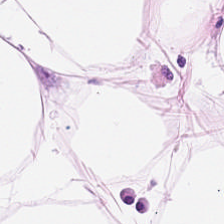Stain: hematoxylin-and-eosin stained section.
Tissue type: adipose.
